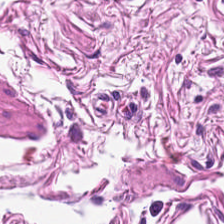Tissue — smooth muscle.
